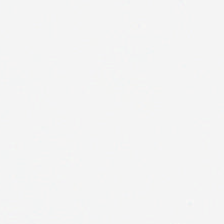H&E-stained tissue section — Empty field — background (no tissue).
